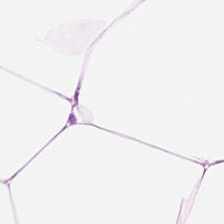H&E stain; FFPE tissue section — Q: What is shown here?
A: It is adipose.
